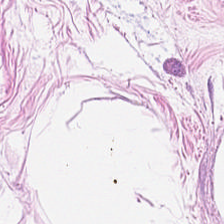{"tissue_type": "adipose tissue"}
